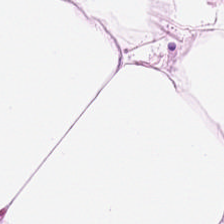H&E stain — Showing fat tissue.
